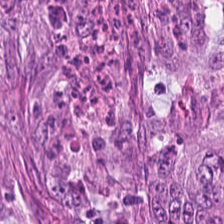Q: What does this patch show?
A: It is adenocarcinoma.
